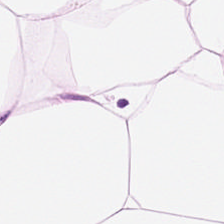Predominant tissue — fat tissue.
